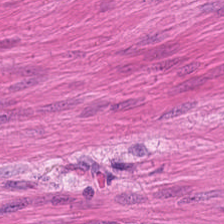Hematoxylin-and-eosin section: smooth-muscle tissue.
